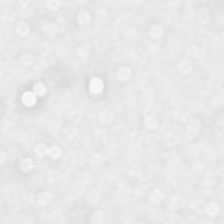Impression → background.
